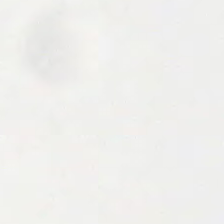H&E-stained tissue section · WSI patch — The content is no tissue.
